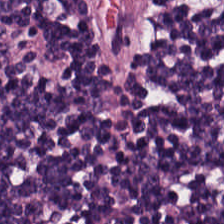Hematoxylin-and-eosin stained section — Tissue class: lymphocyte aggregate.
